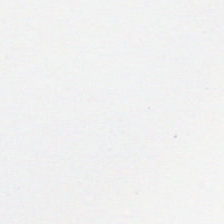Empty field — no tissue.
